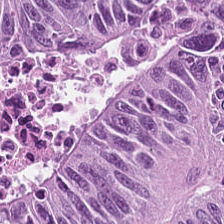H&E-stained tissue section · whole-slide-image patch — {"tissue_type": "malignant epithelium"}
